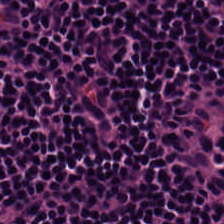Tissue type: lymphoid infiltrate.
